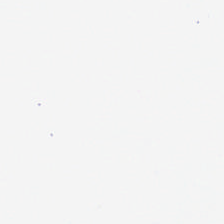Q: What does this patch show?
A: It is background (no tissue).
